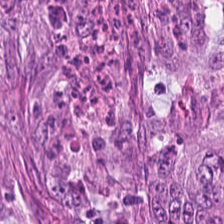Brightfield. Hematoxylin and eosin — Histology → malignant epithelium.
